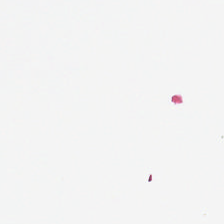FFPE tissue section; H&E; 224×224 pixel tile — Histology — empty background.
